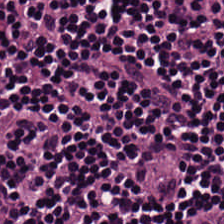Whole-slide-image patch; FFPE tissue section; H&E stain. Predominantly lymphocytes.
